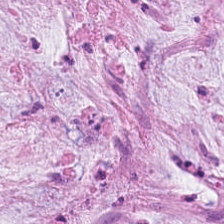Stain: H&E-stained tissue section.
Predominant tissue: extracellular mucin.
